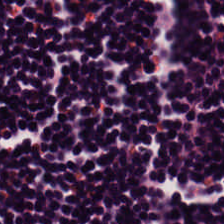Stain: H&E-stained tissue section.
Preparation: FFPE.
Tile size: 224×224 pixel tile.
Predominant tissue: lymphoid infiltrate.
